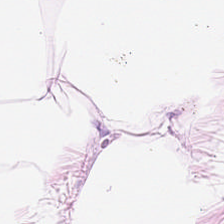H&E stain. Classification — fat tissue.
